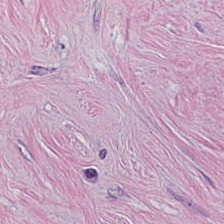Stain: H&E-stained tissue section.
Tissue: desmoplastic stroma.
